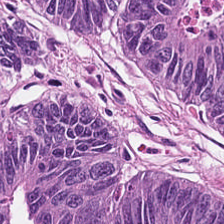H&E-stained tissue section. Q: What does this patch show?
A: It is colorectal adenocarcinoma epithelium.
